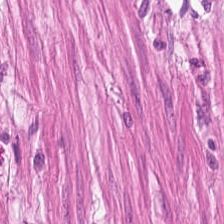20× equivalent magnification; H&E. Tissue type — smooth-muscle tissue.
